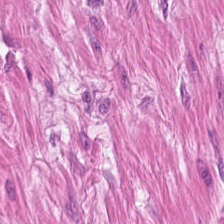H&E. Q: What is shown in this field?
A: The field shows muscularis.
